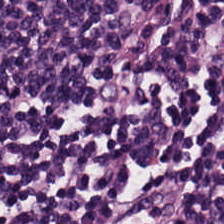WSI patch · 0.5 microns per pixel · hematoxylin-and-eosin stained section.
{"tissue_type": "lymphocytes"}
